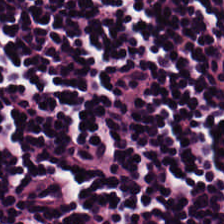Hematoxylin-and-eosin stained section.
Predominant tissue = lymphocytes.
